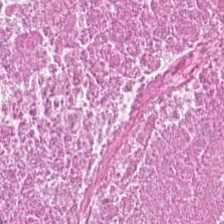Stain: H&E-stained tissue section.
Classification: debris.
